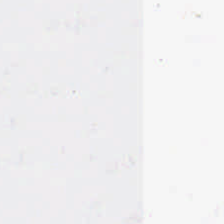H&E-stained tissue section. This patch shows background.
